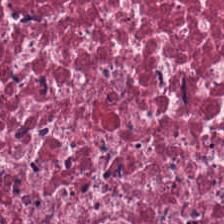H&E.
Tissue — tumor-associated stroma.
